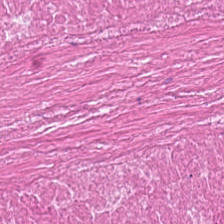Hematoxylin and eosin. The tissue class is cellular debris.
